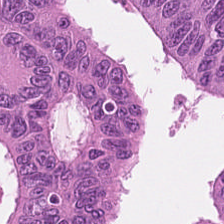Hematoxylin-and-eosin section: colorectal adenocarcinoma epithelium.
